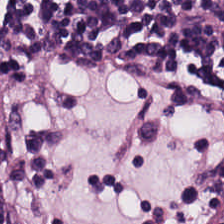Hematoxylin and eosin. Showing lymphocytic infiltrate.
